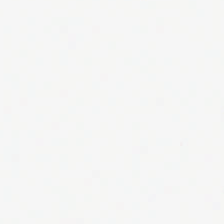Field content = background (no tissue).
